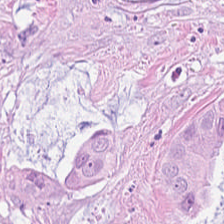H&E. Whole-slide-image patch. Predominant tissue = colorectal adenocarcinoma.
